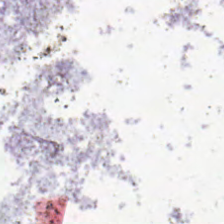Stain: H&E stain.
Resolution: 0.5 µm/px.
Tile size: 224×224 pixel tile.
Content: background (no tissue).
